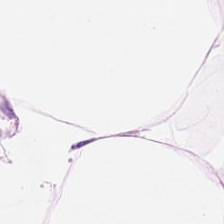Stain: H&E.
Classification: adipocytes.
